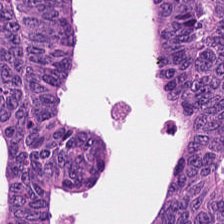Hematoxylin and eosin. Q: What type of tissue is this?
A: The field shows tumor epithelium.
